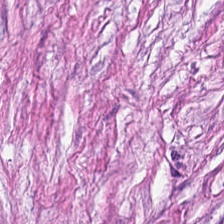H&E-stained tissue section. FFPE tissue section — Q: What is shown in this field?
A: This is tumor-associated stroma.
